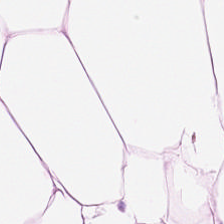Stain: H&E-stained tissue section.
Acquisition: brightfield.
Tile size: 224×224 pixel tile.
Tissue type: adipose.
